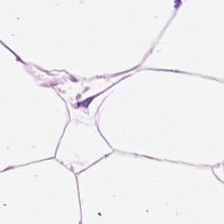H&E stain — This patch shows adipose tissue.
